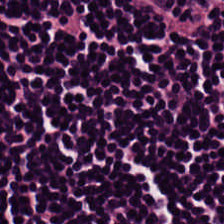H&E stain.
Tissue: lymphoid infiltrate.
